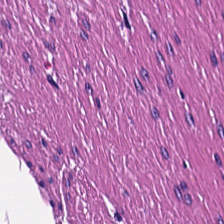224×224 pixel tile. Hematoxylin-and-eosin stained section. 0.5 microns per pixel. This patch shows smooth-muscle tissue.
